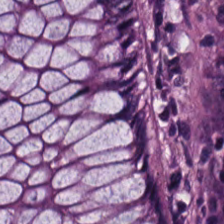Hematoxylin-and-eosin stained section.
The classification is benign colonic mucosa.
